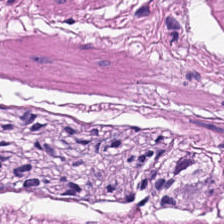Hematoxylin and eosin — The predominant tissue is smooth muscle.
